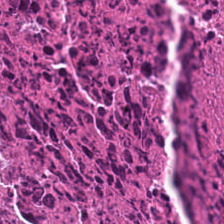Tissue type — necrotic debris.
